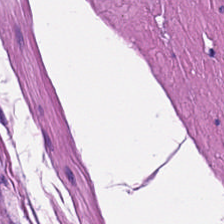H&E-stained tissue section — Tissue class — muscularis.
